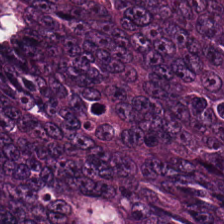Hematoxylin and eosin; formalin-fixed paraffin-embedded section; 0.5 microns per pixel.
Tissue = malignant epithelium.
